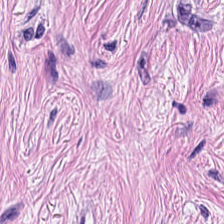Stain: H&E.
Predominant tissue: tumor stroma.
